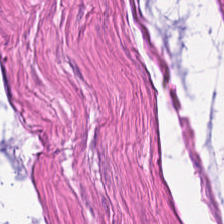H&E stain. The tissue here is muscularis.
